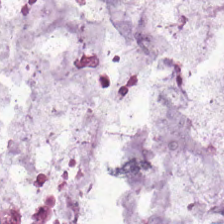Hematoxylin and eosin · whole-slide-image patch.
The predominant tissue is extracellular mucin.
